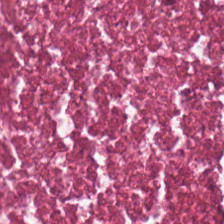Brightfield microscopy. Hematoxylin-and-eosin stained section. Q: What is shown in this field?
A: It is necrotic debris.
